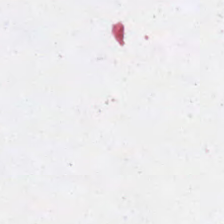This field is background (no tissue).
